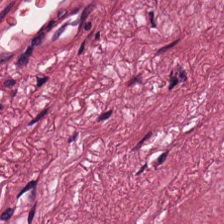Q: What is the predominant tissue type?
A: Desmoplastic stroma.
